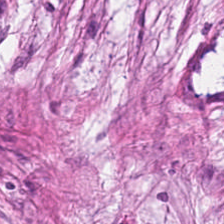H&E-stained tissue section — This field is tumor-associated stroma.
